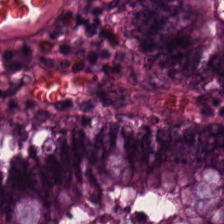H&E-stained tissue section. Whole-slide-image patch.
Q: Identify the tissue.
A: Benign colonic mucosa.
